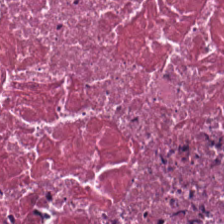H&E stain; formalin-fixed paraffin-embedded section.
This field is necrotic debris.
